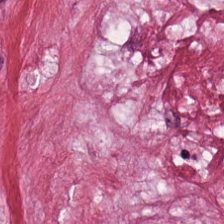H&E stain. The predominant tissue is cancer-associated stroma.
